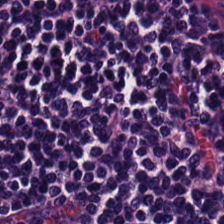0.5 µm/px; hematoxylin-and-eosin stained section — The tissue class is lymphocyte aggregate.
